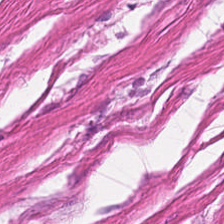Stain: hematoxylin and eosin.
Classification: smooth muscle.
